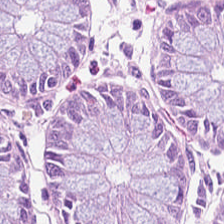20× equivalent magnification; H&E — Showing benign colonic mucosa.
